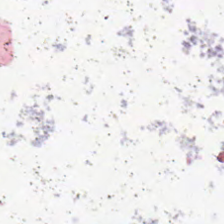Hematoxylin and eosin · 0.5 µm per pixel. Q: What does this patch show?
A: It is empty background.
